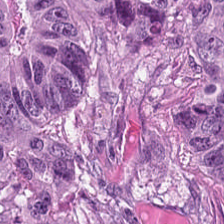H&E stain — The tissue type is colorectal adenocarcinoma epithelium.
